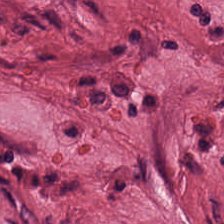H&E stain.
{"tissue_type": "tumor stroma"}
